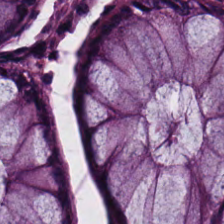Hematoxylin and eosin · WSI patch. Q: What tissue type is shown here?
A: It is normal colonic mucosa.
